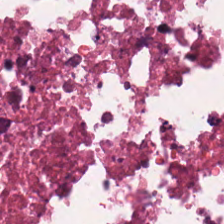Hematoxylin and eosin · 224×224 px patch · brightfield.
Cellular debris.
